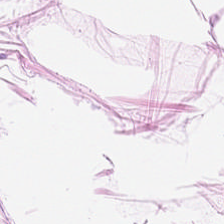Tissue — fat tissue.
